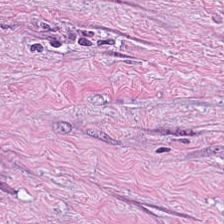Hematoxylin and eosin — Q: What does this patch show?
A: Tumor stroma.
